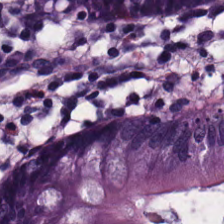Stain: H&E stain.
Tissue type: non-neoplastic colon mucosa.
